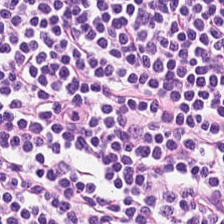H&E stain.
Showing lymphocyte aggregate.
